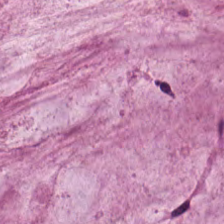Hematoxylin and eosin · WSI patch.
Tissue — mucus.
